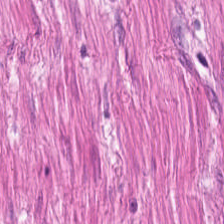H&E; brightfield microscopy. This patch shows smooth muscle.
